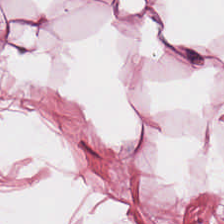Stain: H&E-stained tissue section.
Classification: adipose tissue.
